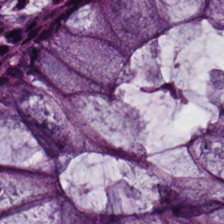224×224 px patch; hematoxylin and eosin; FFPE tissue section — Histology → normal colonic mucosa.
